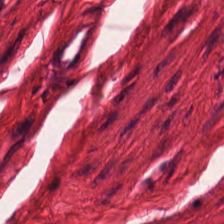H&E-stained tissue section. Smooth-muscle tissue.
